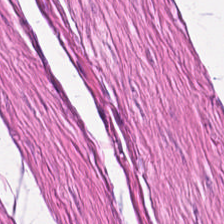H&E-stained tissue section. Classification = muscularis.
